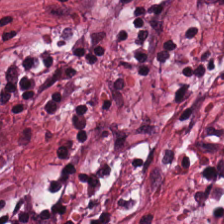H&E-stained tissue section.
The predominant tissue is tumor-associated stroma.
